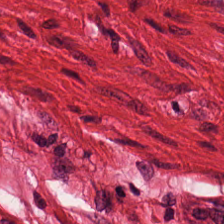Showing smooth-muscle tissue.
